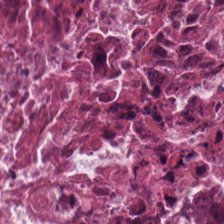H&E-stained tissue section; FFPE tissue section.
Q: What is shown here?
A: Debris.
